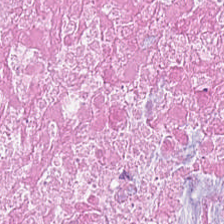Q: Identify the tissue.
A: Cellular debris.
